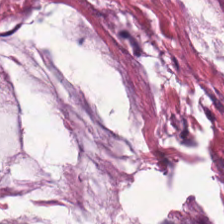Histology — extracellular mucin.
